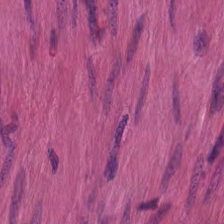224×224 px patch; brightfield microscopy; hematoxylin-and-eosin stained section.
Q: What tissue type is shown here?
A: Smooth-muscle tissue.
